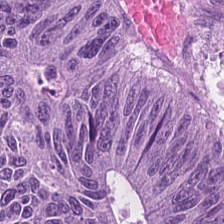Whole-slide-image patch; 224×224 pixel tile; H&E — {"tissue_type": "colorectal adenocarcinoma epithelium"}
